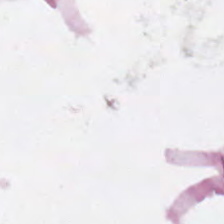H&E. This patch shows adipose tissue.
